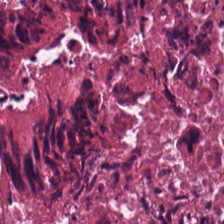H&E-stained tissue section.
The predominant tissue is cellular debris.
